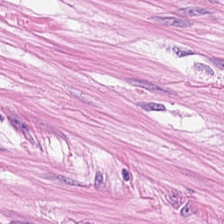224×224 pixel tile; 0.5 microns per pixel; H&E stain.
Q: Classify this patch.
A: This is smooth muscle.
